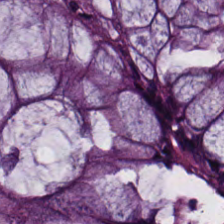224×224 pixel tile; hematoxylin and eosin — Tissue = non-neoplastic colon mucosa.
